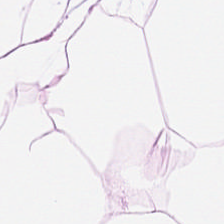0.5 µm/px · FFPE · H&E-stained tissue section.
Q: What is shown in this field?
A: Adipose tissue.
